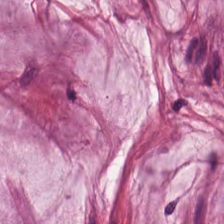H&E-stained tissue section · FFPE · brightfield microscopy — Showing mucus.
